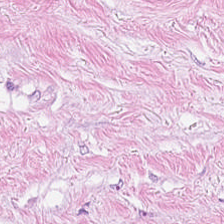H&E-stained tissue section — Q: What tissue type is shown here?
A: This is desmoplastic stroma.
